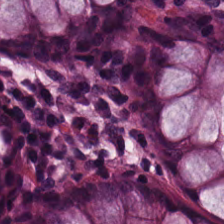Stain: H&E-stained tissue section.
Tissue: normal colonic mucosa.
